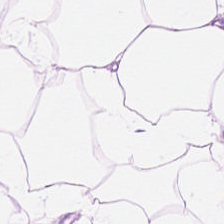H&E patch showing fat tissue.
